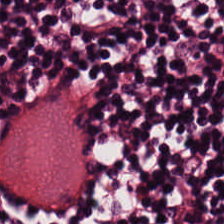224×224 px patch · H&E-stained tissue section · FFPE — Q: What is shown in this field?
A: It is lymphocytic infiltrate.
